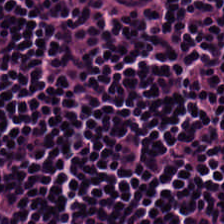H&E-stained tissue section. Tissue type = lymphocytic infiltrate.
